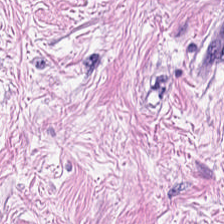H&E stain — This field is desmoplastic stroma.
